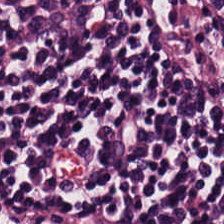224×224 px patch · H&E stain — The tissue here is lymphocyte aggregate.
